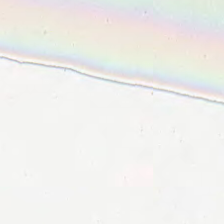Hematoxylin-and-eosin stained section · WSI patch. Q: Classify this patch.
A: The field shows background.
